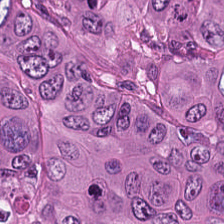Brightfield microscopy · hematoxylin and eosin. This field is adenocarcinoma.
